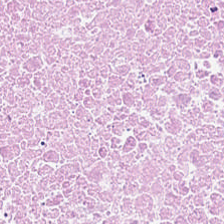FFPE tissue section; H&E. This field is necrotic debris.
